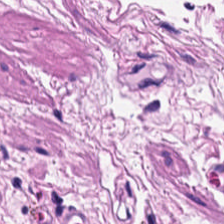H&E. The predominant tissue is muscularis.
